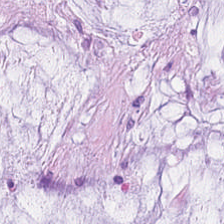Hematoxylin-and-eosin stained section — Predominantly mucin.
